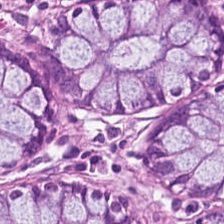H&E — Predominant tissue = benign colonic mucosa.
